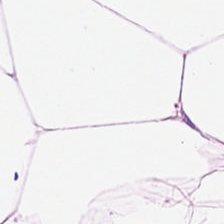H&E — Q: Identify the tissue.
A: The field shows fat tissue.
